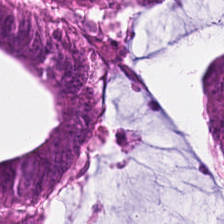Hematoxylin and eosin — Tissue type: malignant epithelium.
